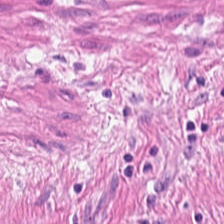H&E stain. Tissue: smooth muscle.
